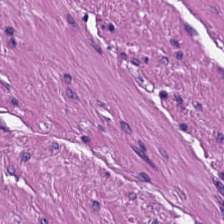Hematoxylin-and-eosin section: smooth-muscle tissue.
